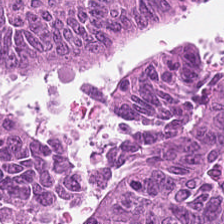Stain: hematoxylin and eosin.
Tissue class: colorectal adenocarcinoma.
